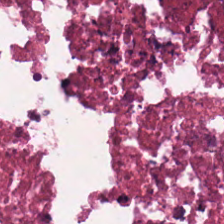Q: What is shown here?
A: The field shows necrotic debris.
